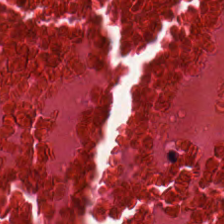Hematoxylin-and-eosin stained section. The tissue type is debris.
